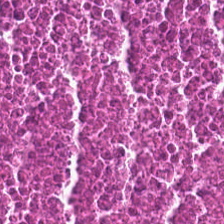Q: What is shown here?
A: The field shows debris.
